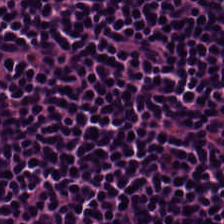{"tissue_type": "lymphocyte aggregate"}
